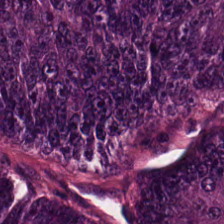Hematoxylin-and-eosin stained section. Finding — malignant epithelium.
